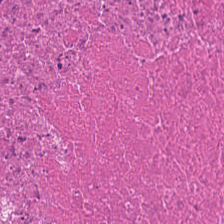H&E-stained tissue section; formalin-fixed paraffin-embedded section.
The tissue type is necrotic debris.
